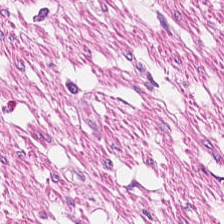Tissue type = smooth muscle.
